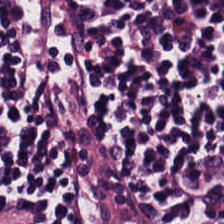Stain: hematoxylin and eosin.
Tissue: lymphoid infiltrate.
